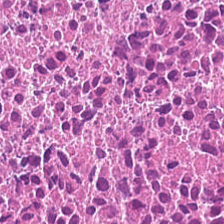20× equivalent magnification · WSI patch · hematoxylin-and-eosin stained section — Q: What is the predominant tissue type?
A: It is necrotic debris.
